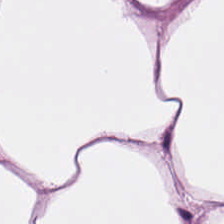H&E · 224×224 px tile · WSI patch. This patch shows adipose tissue.
